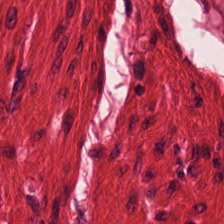0.5 µm/px. H&E. FFPE tissue section. Tissue type = smooth-muscle tissue.
